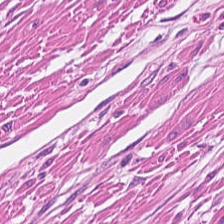H&E; brightfield microscopy.
{"tissue_type": "muscularis"}
